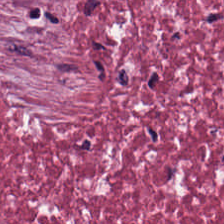0.5 microns per pixel; 224×224 px tile; H&E.
Q: What tissue is shown?
A: The field shows desmoplastic stroma.
